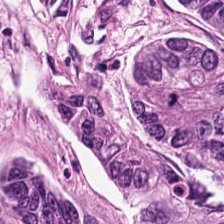Hematoxylin and eosin. 224×224 px patch. Brightfield microscopy. {"tissue_type": "tumor epithelium"}
